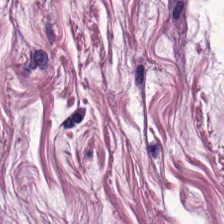20× equivalent magnification · hematoxylin and eosin. Classification — smooth muscle.
